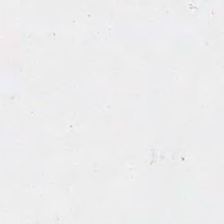H&E.
Histology — background.
